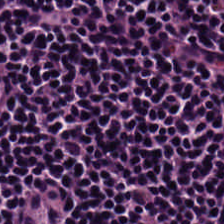H&E. Formalin-fixed paraffin-embedded section.
Q: Identify the tissue.
A: Lymphocyte aggregate.
